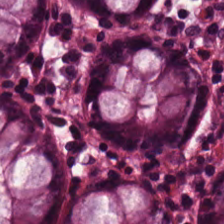The tissue here is benign colonic mucosa.
